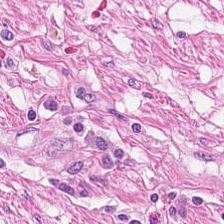H&E. Brightfield.
This patch shows muscularis.
